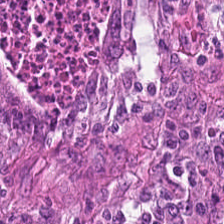Finding → adenocarcinoma.
